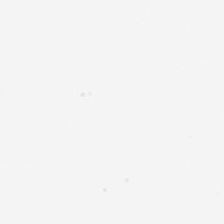Hematoxylin and eosin. Q: Classify this patch.
A: This is background (no tissue).
